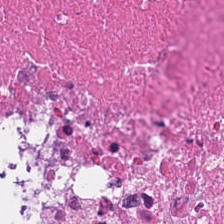Hematoxylin and eosin — {"tissue_type": "debris"}
